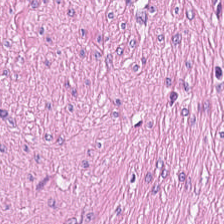Q: Identify the tissue.
A: The field shows muscularis.
